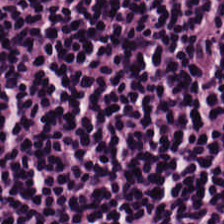H&E stain · 0.5 microns per pixel — Q: What is the predominant tissue type?
A: It is lymphoid infiltrate.
